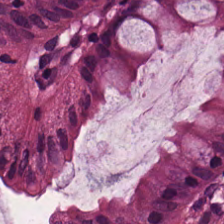224×224 px patch · hematoxylin and eosin — Predominantly normal colonic mucosa.
